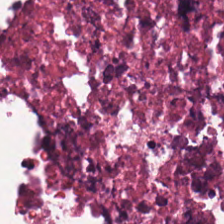Stain: hematoxylin and eosin.
Acquisition: whole-slide-image patch.
Tile size: 224×224 px patch.
Classification: cellular debris.
